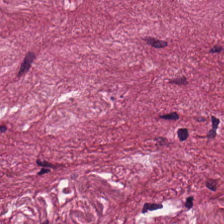Hematoxylin-and-eosin stained section — Tissue class — cancer-associated stroma.
